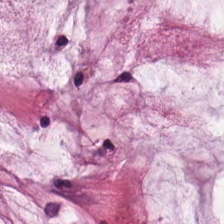{"tissue_type": "extracellular mucin"}
